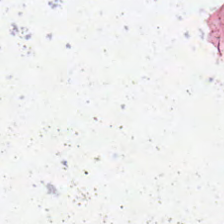0.5 µm per pixel. Hematoxylin-and-eosin stained section. FFPE — Histology — no tissue.
